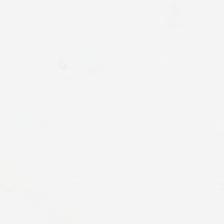Histology — background (no tissue).
